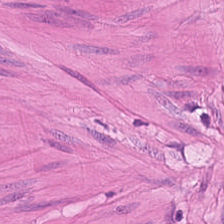H&E · 224×224 px patch — This field is smooth-muscle tissue.
